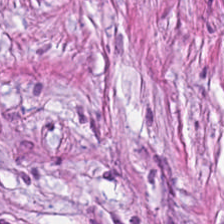Hematoxylin and eosin — {"tissue_type": "cancer-associated stroma"}
